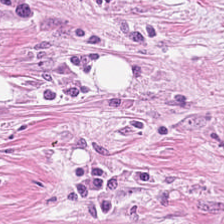224×224 px patch; H&E.
Finding → tumor stroma.
